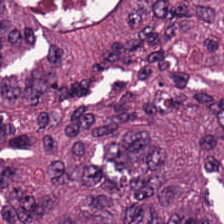H&E.
Q: What type of tissue is this?
A: The field shows colorectal adenocarcinoma.
